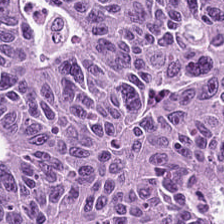H&E. 0.5 µm per pixel.
Tissue class — tumor epithelium.
